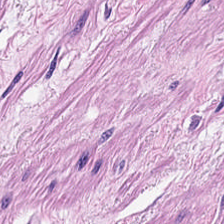The tissue here is smooth muscle.
